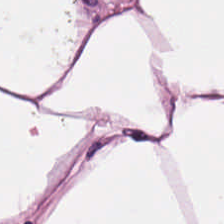H&E-stained tissue section.
Fat tissue.
